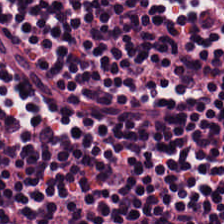Stain: hematoxylin and eosin.
Tissue: lymphocytic infiltrate.
